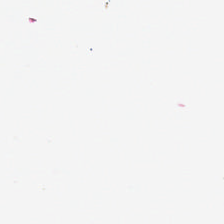Formalin-fixed paraffin-embedded section; H&E. Empty background.
